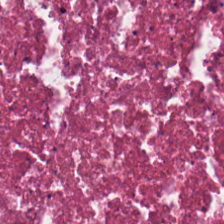Hematoxylin and eosin · 0.5 microns per pixel. Finding — debris.
